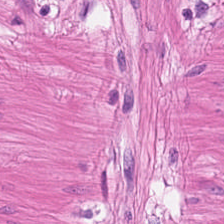Smooth-muscle tissue.
